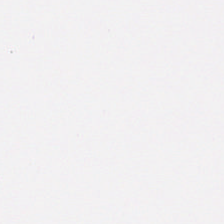H&E stain · 0.5 µm per pixel · 224×224 pixel tile.
Histology → smooth muscle.
